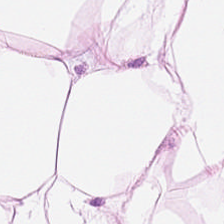Stain: H&E-stained tissue section.
Tissue class: adipocytes.
